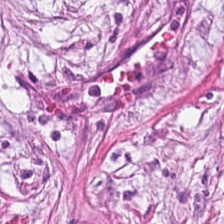Stain: H&E.
Tissue type: desmoplastic stroma.
